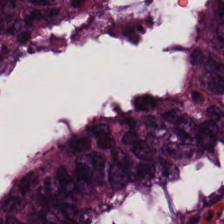Stain: H&E-stained tissue section.
Tissue: colorectal adenocarcinoma epithelium.
